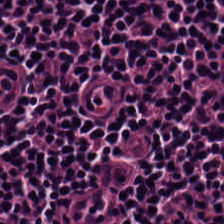Tissue type: lymphoid infiltrate.
